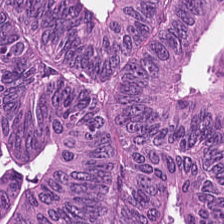H&E. FFPE tissue section.
Impression — malignant epithelium.
